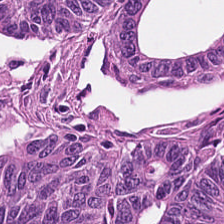Hematoxylin and eosin.
Predominant tissue — tumor epithelium.
